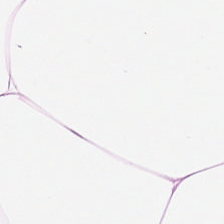Hematoxylin-and-eosin stained section. {"tissue_type": "fat tissue"}
